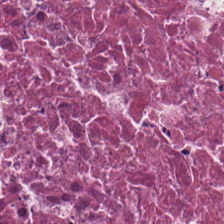H&E stain; WSI patch — The tissue here is necrotic debris.
